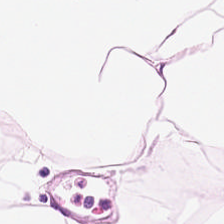H&E-stained tissue section · brightfield microscopy.
Adipose.
